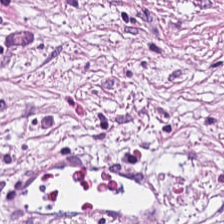H&E stain — Predominant tissue: desmoplastic stroma.
